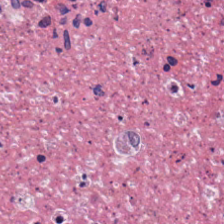H&E — The predominant tissue is debris.
